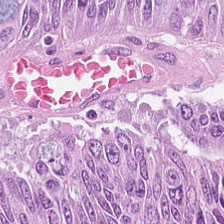Finding → colorectal adenocarcinoma.
